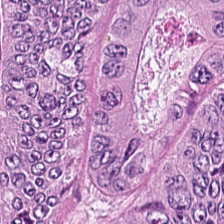Hematoxylin-and-eosin stained section — Q: Identify the tissue.
A: It is malignant epithelium.
